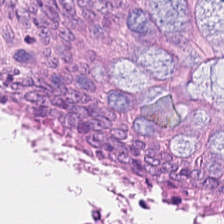Stain: hematoxylin-and-eosin stained section.
Tissue class: benign colonic mucosa.
